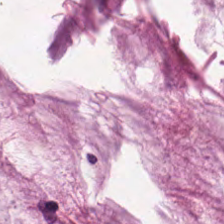Stain: hematoxylin and eosin.
Tissue class: mucus.
